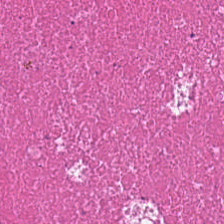Classification: debris.
